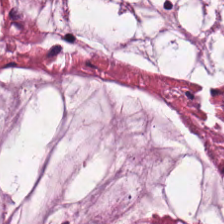Hematoxylin and eosin — Showing mucin.
